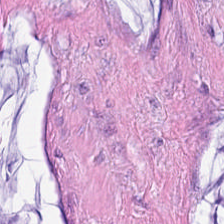H&E stain — Tissue class = mucus.
